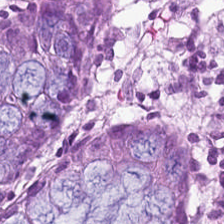H&E stain. Predominantly normal colon mucosa.
